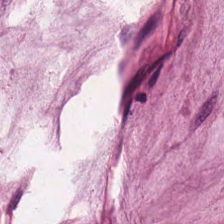Hematoxylin and eosin. Predominantly extracellular mucin.
